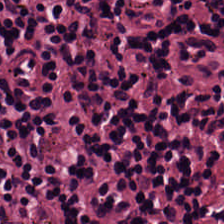224×224 pixel tile; hematoxylin and eosin. Predominantly lymphocytes.
